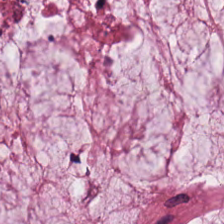H&E; formalin-fixed paraffin-embedded section. Predominant tissue: extracellular mucin.
